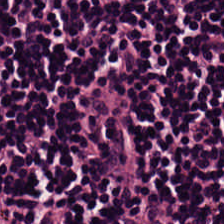224×224 px tile; hematoxylin and eosin.
The tissue type is lymphoid infiltrate.
